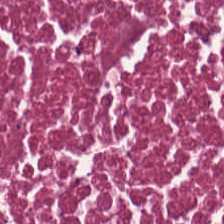H&E stain. The classification is necrotic debris.
